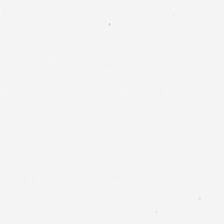The field content is background (no tissue).
